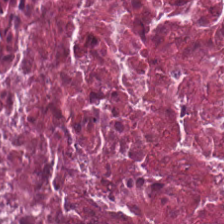Hematoxylin-and-eosin stained section. Predominantly necrotic debris.
